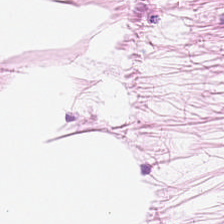Hematoxylin and eosin. Impression — adipose.
